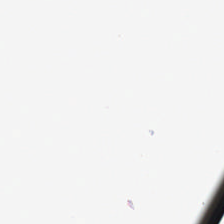Hematoxylin-and-eosin stained section. {"content": "no tissue"}
